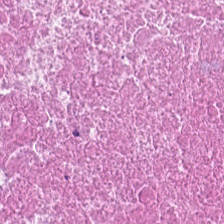H&E-stained section; the field shows cellular debris.
